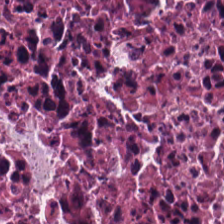This field is cellular debris.
